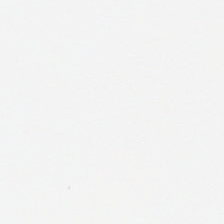Hematoxylin and eosin — The content is empty background.
